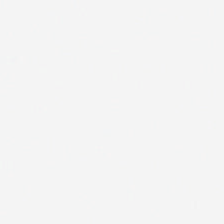H&E-stained tissue section. This patch shows background.
